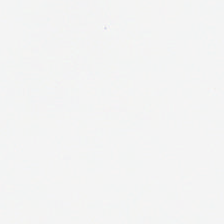FFPE · hematoxylin and eosin · brightfield microscopy. The content is no tissue.
